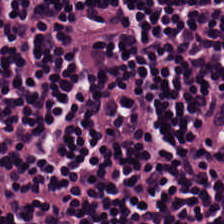H&E-stained tissue section showing lymphoid infiltrate.
